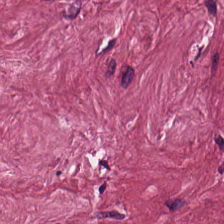H&E-stained tissue section. FFPE tissue section — Impression — desmoplastic stroma.
